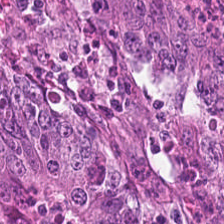Stain: hematoxylin and eosin.
Predominant tissue: tumor epithelium.
